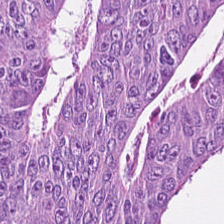Stain: hematoxylin-and-eosin stained section.
Predominant tissue: tumor epithelium.
